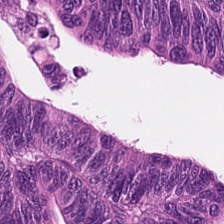Hematoxylin and eosin.
Classification = adenocarcinoma.
